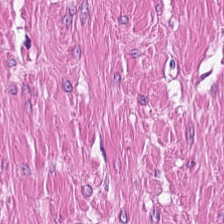224×224 pixel tile. Hematoxylin and eosin. FFPE.
Predominantly muscularis.
